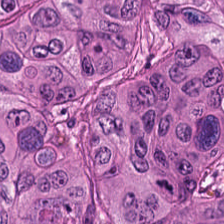H&E-stained tissue section. 20× equivalent magnification.
The predominant tissue is adenocarcinoma.
